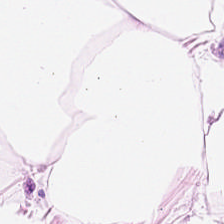H&E. {"tissue_type": "fat tissue"}
